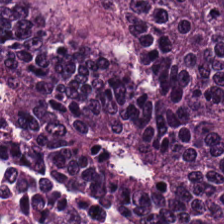The predominant tissue is colorectal adenocarcinoma.
